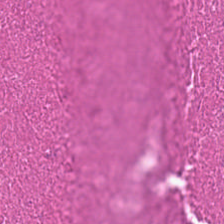Q: What tissue is shown?
A: This is necrotic debris.
